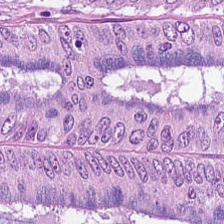Hematoxylin and eosin; 0.5 µm/px.
Q: What tissue type is shown here?
A: This is colorectal adenocarcinoma.
